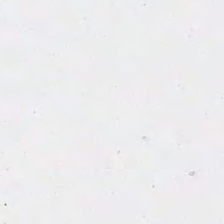Content = empty background.
